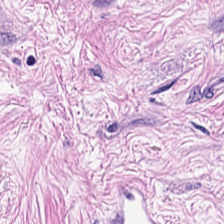This field is cancer-associated stroma.
